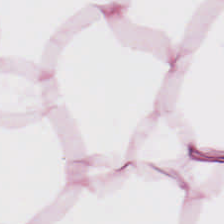Hematoxylin and eosin. FFPE tissue section.
Q: What is the predominant tissue type?
A: The field shows fat tissue.
